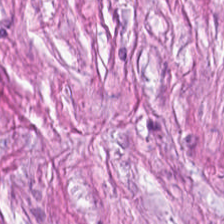224×224 pixel tile · 0.5 microns per pixel · H&E stain. Tissue type — cancer-associated stroma.
